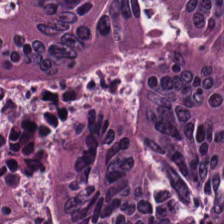Impression — colorectal adenocarcinoma.
